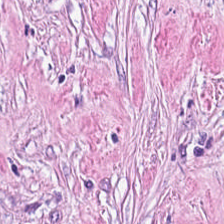Hematoxylin-and-eosin stained section; 224×224 px patch. This field is tumor-associated stroma.
